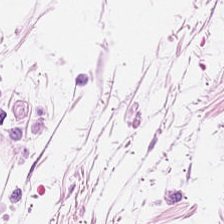0.5 µm/px; whole-slide-image patch; H&E stain — Predominantly adipocytes.
